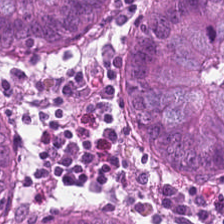H&E-stained tissue section. 224×224 px tile — The tissue is normal colonic mucosa.
